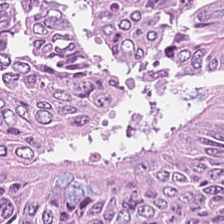Brightfield · 0.5 microns per pixel · H&E-stained tissue section. The predominant tissue is colorectal adenocarcinoma epithelium.
